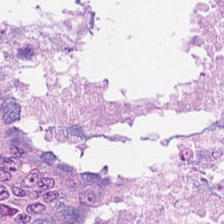Hematoxylin and eosin. Brightfield microscopy. This field is adenocarcinoma.
